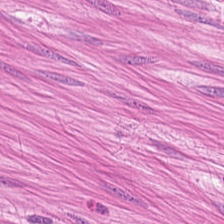H&E stain — The predominant tissue is muscularis.
